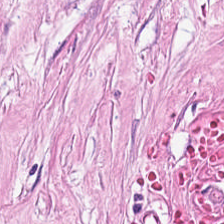H&E-stained tissue section.
Q: What does this patch show?
A: Tumor stroma.
